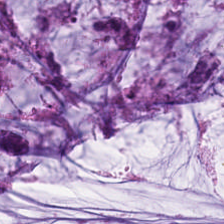Q: What does this patch show?
A: It is mucin.
